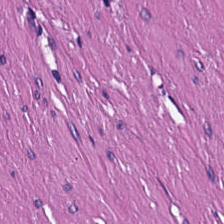FFPE. H&E — The tissue is smooth-muscle tissue.
